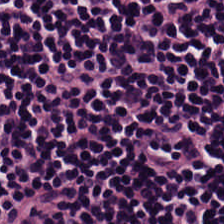224×224 px tile; H&E — Q: What is shown here?
A: This is lymphoid infiltrate.
